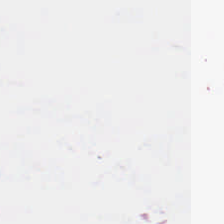Hematoxylin-and-eosin stained section · FFPE — The classification is background.
